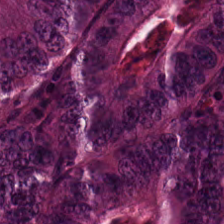Q: What tissue is shown?
A: Adenocarcinoma.
